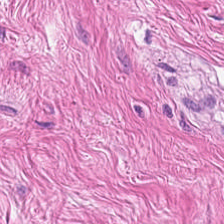H&E. Q: Identify the tissue.
A: This is smooth-muscle tissue.
